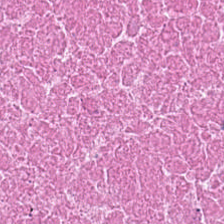Whole-slide-image patch. H&E stain. The predominant tissue is cellular debris.
